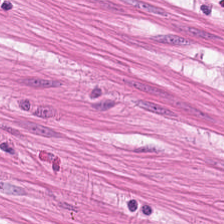Hematoxylin and eosin.
{"tissue_type": "smooth muscle"}
